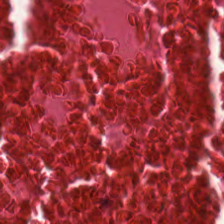H&E; 0.5 µm per pixel.
Classification = debris.
